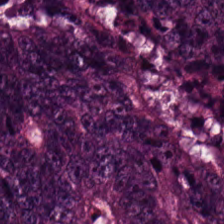H&E stain. Q: What is the predominant tissue type?
A: The field shows colorectal adenocarcinoma.
